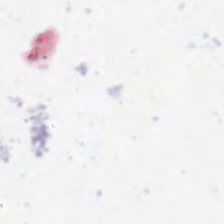H&E. Formalin-fixed paraffin-embedded section.
No tissue present; background only.
